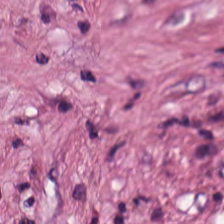Hematoxylin-and-eosin stained section. Tissue class: desmoplastic stroma.
